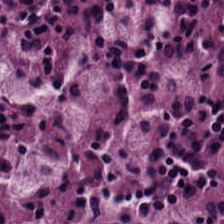Histology → lymphocytes.
